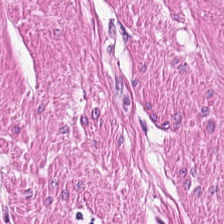H&E-stained tissue section — Smooth muscle.
